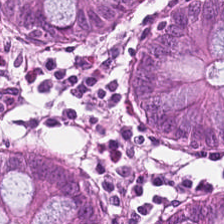Stain: H&E stain.
Classification: benign colonic mucosa.
